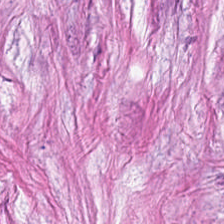Q: What is the predominant tissue type?
A: Cancer-associated stroma.
